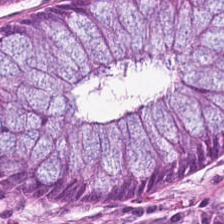Hematoxylin and eosin; 224×224 px tile. Predominant tissue = normal colon mucosa.
